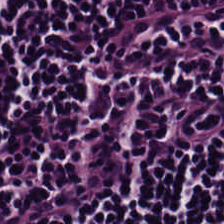{"tissue_type": "lymphocytes"}
